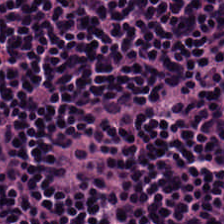Predominant tissue = lymphocytes.
